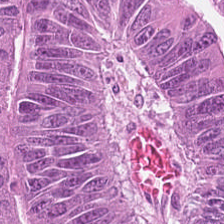Formalin-fixed paraffin-embedded section · hematoxylin and eosin.
Q: What tissue type is shown here?
A: It is malignant epithelium.
